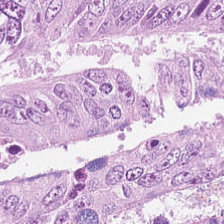H&E-stained tissue section; 0.5 microns per pixel. Q: What is shown in this field?
A: The field shows malignant epithelium.
